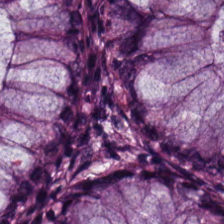Showing normal colonic mucosa.
